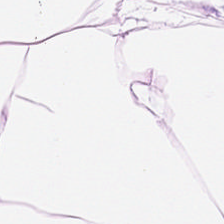Q: Classify this patch.
A: This is fat tissue.
